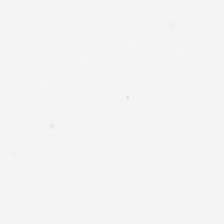Background — no tissue in this field.
